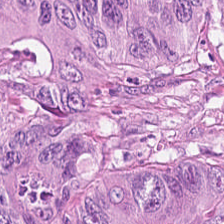The predominant tissue is adenocarcinoma.
